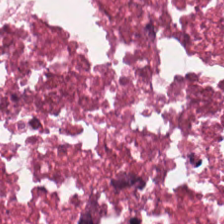Hematoxylin and eosin; WSI patch.
Histology → debris.
